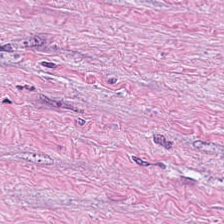H&E-stained tissue section; FFPE tissue section — The tissue here is tumor stroma.
